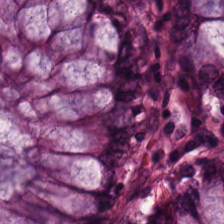Stain: H&E.
Classification: normal colon mucosa.
